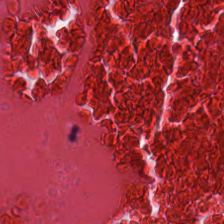H&E. Necrotic debris.
